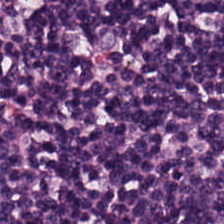H&E-stained tissue section. 0.5 microns per pixel — This patch shows lymphocytic infiltrate.
